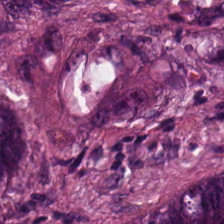H&E.
This patch shows colorectal adenocarcinoma.
